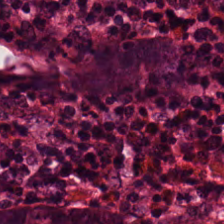H&E-stained tissue section. Tissue class — benign colonic mucosa.
